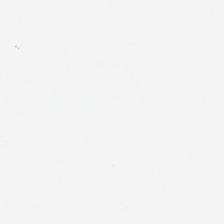This patch shows no tissue.
